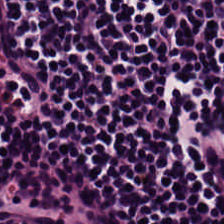Hematoxylin and eosin — Q: What does this patch show?
A: Lymphocytes.
